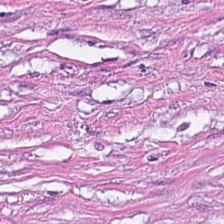Hematoxylin-and-eosin stained section; 0.5 microns per pixel. {"tissue_type": "tumor stroma"}
